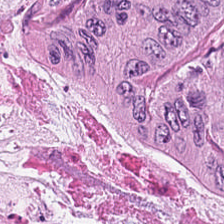H&E-stained tissue section; 224×224 pixel tile — {"tissue_type": "tumor epithelium"}
